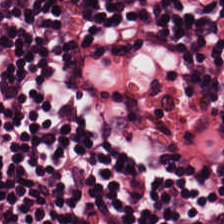Hematoxylin and eosin · FFPE · 224×224 px tile — The classification is lymphocytic infiltrate.
